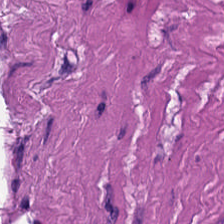Hematoxylin and eosin.
Predominantly smooth-muscle tissue.
